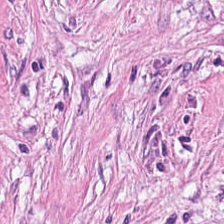Histology → tumor stroma.
